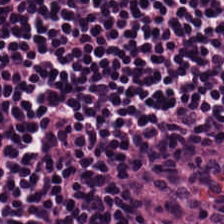Hematoxylin and eosin · 224×224 pixel tile · 0.5 µm per pixel.
Q: What tissue type is shown here?
A: The field shows lymphocytic infiltrate.
